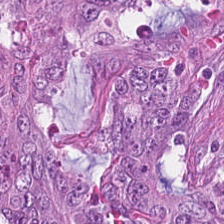The tissue here is malignant epithelium.
